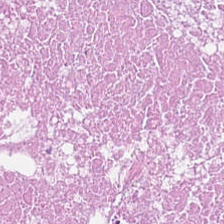H&E stain.
The classification is debris.
